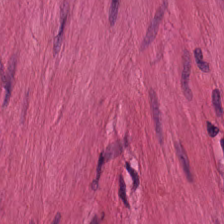H&E-stained tissue section. FFPE tissue section. 224×224 pixel tile — Tissue class — smooth-muscle tissue.
